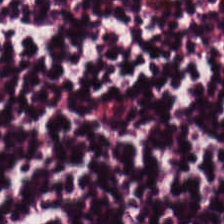224×224 pixel tile; H&E-stained tissue section — Q: Classify this patch.
A: This is lymphocytic infiltrate.
